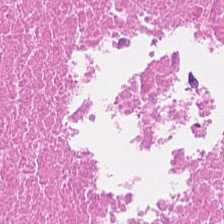H&E stain. Showing debris.
